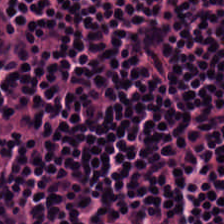{"tissue_type": "lymphoid infiltrate"}
